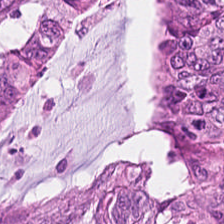Stain: H&E stain.
Classification: colorectal adenocarcinoma.
